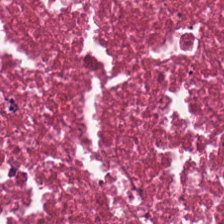FFPE. Hematoxylin-and-eosin stained section.
Q: What does this patch show?
A: It is cellular debris.
